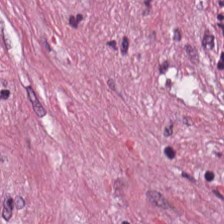Hematoxylin and eosin. WSI patch — Q: What tissue type is shown here?
A: The field shows tumor-associated stroma.
